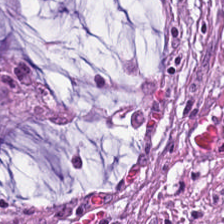H&E-stained tissue section — Showing mucus.
